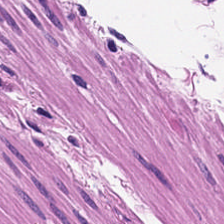H&E-stained tissue section.
The tissue is smooth muscle.
